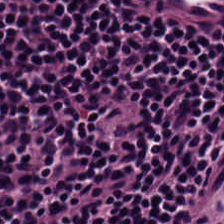Hematoxylin-and-eosin stained section.
Classification = lymphocyte aggregate.
